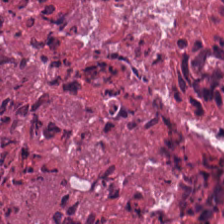Hematoxylin and eosin; 224×224 px tile — Q: What is the predominant tissue type?
A: The field shows necrotic debris.
